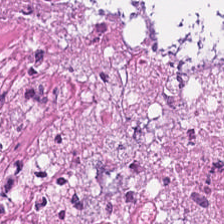H&E — Q: What is shown here?
A: This is debris.
